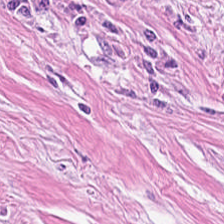Histology — desmoplastic stroma.
